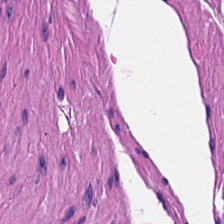H&E-stained tissue section.
The tissue is smooth-muscle tissue.
